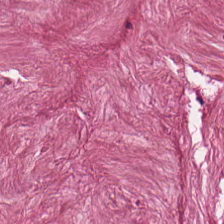Histology — tumor-associated stroma.
